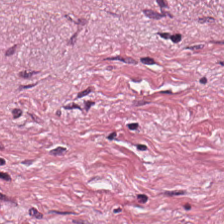Hematoxylin-and-eosin stained section.
Tissue type = cancer-associated stroma.
